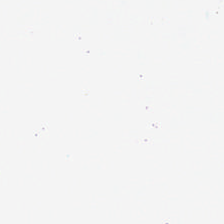H&E-stained tissue section · 224×224 pixel tile. Histology → background.
